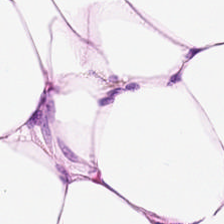Tissue = fat tissue.
